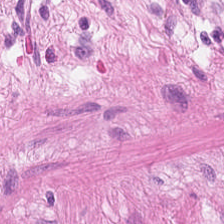WSI patch; H&E. Classification: smooth muscle.
